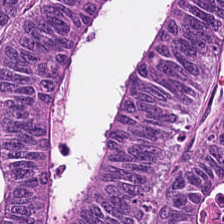Q: Classify this patch.
A: The field shows colorectal adenocarcinoma.
